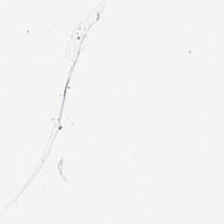Content = empty background.
